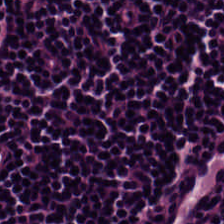Hematoxylin and eosin.
Tissue: lymphocyte aggregate.
